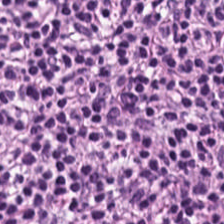H&E-stained section; the field shows lymphocyte aggregate.
